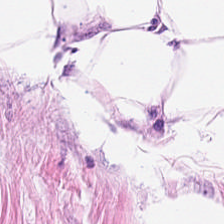H&E.
The classification is fat tissue.
